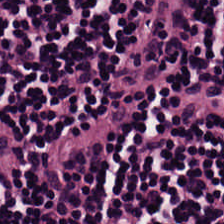H&E-stained tissue section.
Predominantly lymphocytes.
